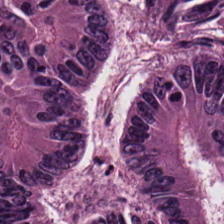H&E-stained tissue section — Predominantly colorectal adenocarcinoma epithelium.
